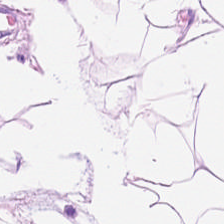WSI patch. H&E. Impression — adipose tissue.
